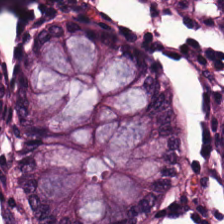Q: What does this patch show?
A: The field shows normal colon mucosa.
